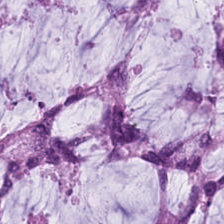Hematoxylin and eosin; WSI patch — Q: Identify the tissue.
A: Mucus.
